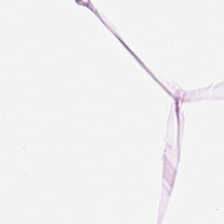Stain: hematoxylin and eosin.
Acquisition: whole-slide-image patch.
Tissue class: fat tissue.
